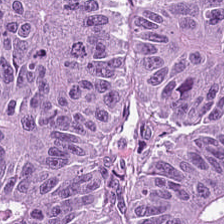Adenocarcinoma.
